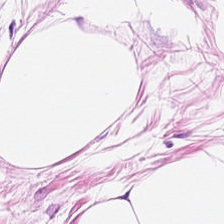Histology → adipocytes.
